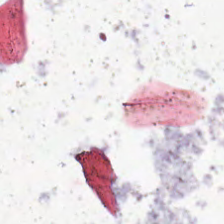Hematoxylin and eosin. Content: background (no tissue).
